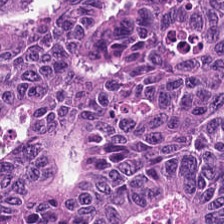H&E — colorectal adenocarcinoma.
